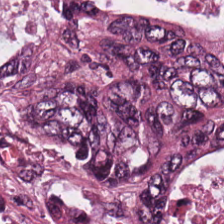Stain: hematoxylin-and-eosin stained section.
Classification: colorectal adenocarcinoma epithelium.
